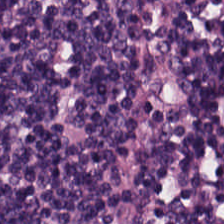H&E — This field is lymphocytes.
